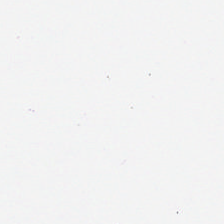The classification is no tissue.
